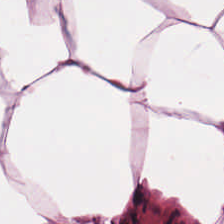H&E patch showing adipose.
